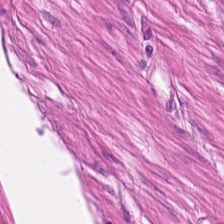Whole-slide-image patch. Hematoxylin and eosin — This field is muscularis.
